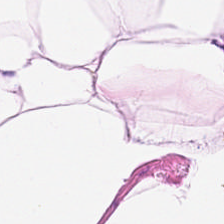H&E-stained tissue section · formalin-fixed paraffin-embedded section. Showing adipose.
